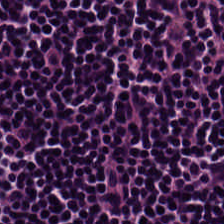Hematoxylin-and-eosin stained section.
The tissue here is lymphocytic infiltrate.
